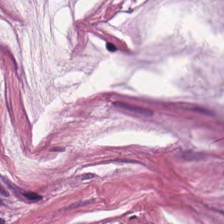H&E stain · FFPE tissue section — Impression — mucin.
